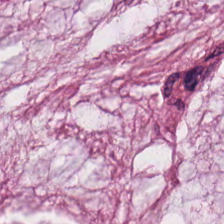Brightfield. Hematoxylin and eosin — Impression — mucus.
